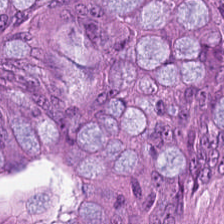Hematoxylin-and-eosin stained section — Classification — malignant epithelium.
